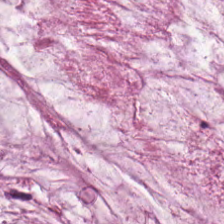0.5 µm/px · H&E stain — This field is mucus.
